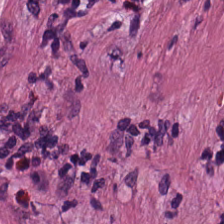FFPE. Hematoxylin and eosin — Tissue class: tumor stroma.
